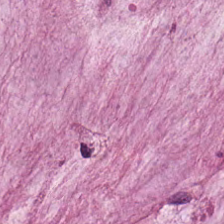Hematoxylin and eosin.
Impression — mucin.
